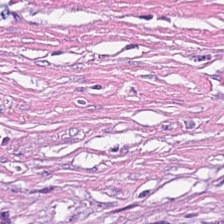Hematoxylin and eosin. {"tissue_type": "tumor-associated stroma"}
